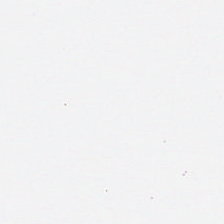Stain: H&E.
Field content: background (no tissue).
